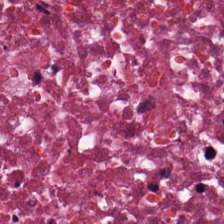H&E-stained tissue section. 0.5 microns per pixel — Tissue — cellular debris.
